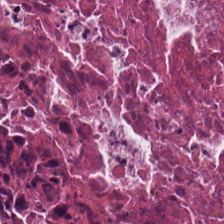Hematoxylin and eosin.
Q: What is the predominant tissue type?
A: It is debris.
